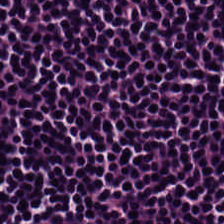20× equivalent magnification; H&E stain.
Lymphocyte aggregate.
